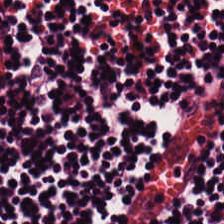20× equivalent magnification; formalin-fixed paraffin-embedded section; H&E. Tissue class — lymphocytic infiltrate.
